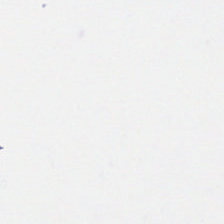The field content is empty background.
